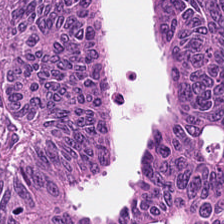Q: What is shown here?
A: This is colorectal adenocarcinoma epithelium.
